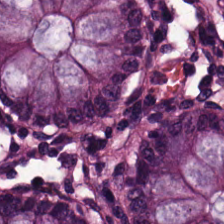224×224 pixel tile · H&E-stained tissue section · FFPE tissue section. The tissue type is non-neoplastic colon mucosa.
